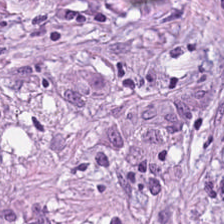{"tissue_type": "desmoplastic stroma"}
